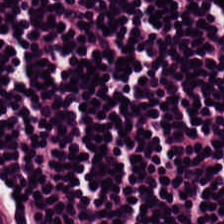Hematoxylin and eosin; WSI patch; 224×224 pixel tile. Lymphocytes.
